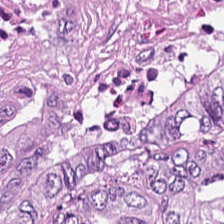H&E-stained tissue section · whole-slide-image patch. This patch shows tumor epithelium.
